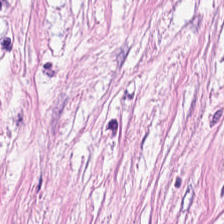Hematoxylin and eosin. Brightfield microscopy.
Tissue type: tumor stroma.
